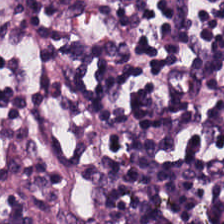Hematoxylin-and-eosin stained section.
This patch shows lymphoid infiltrate.
